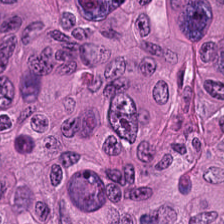224×224 pixel tile; 0.5 µm/px; H&E-stained tissue section.
Classification: adenocarcinoma.
